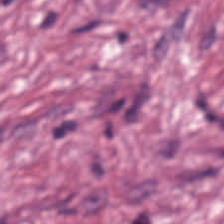Hematoxylin and eosin — Q: What does this patch show?
A: It is desmoplastic stroma.
